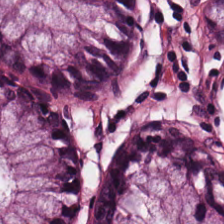Formalin-fixed paraffin-embedded section · H&E-stained tissue section · brightfield microscopy — Q: Classify this patch.
A: Non-neoplastic colon mucosa.
